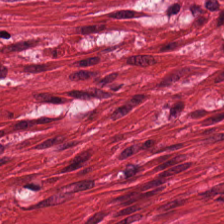0.5 µm/px. H&E stain. 224×224 px patch. Tissue: smooth-muscle tissue.
